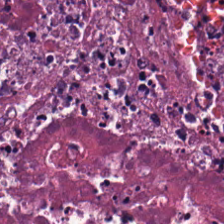Stain: hematoxylin and eosin.
Tile size: 224×224 pixel tile.
Tissue type: cellular debris.
